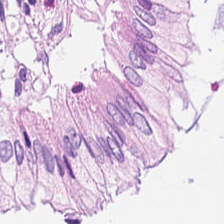Hematoxylin and eosin · whole-slide-image patch · formalin-fixed paraffin-embedded section.
Tissue — normal colonic mucosa.
